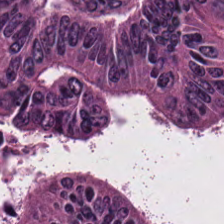Formalin-fixed paraffin-embedded section; hematoxylin and eosin. Impression — colorectal adenocarcinoma.
